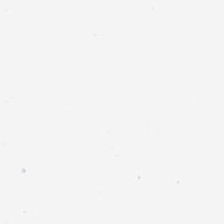H&E-stained tissue section. This patch shows background (no tissue).
